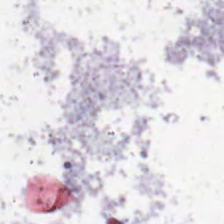WSI patch · 0.5 µm per pixel · H&E-stained tissue section.
Finding — no tissue.
